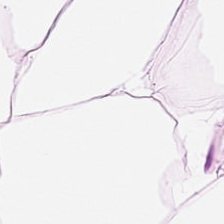224×224 px patch. Hematoxylin and eosin. Predominant tissue: adipose tissue.
